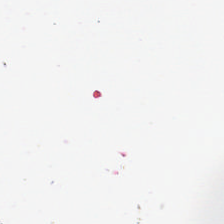Stain: H&E stain.
Resolution: 0.5 µm per pixel.
Classification: background.
